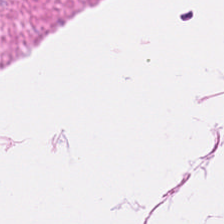Whole-slide-image patch · H&E-stained tissue section. This patch shows smooth-muscle tissue.
